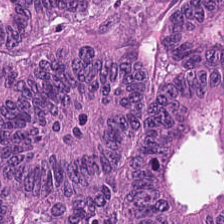Brightfield. H&E-stained tissue section. 0.5 µm per pixel.
Predominant tissue = malignant epithelium.
